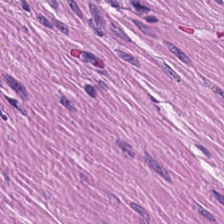H&E — smooth muscle.
